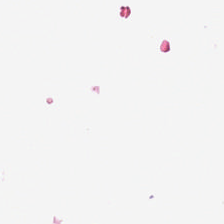224×224 px patch. H&E stain — Empty field — empty background.
